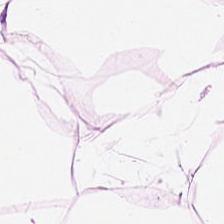Hematoxylin-and-eosin stained section.
Q: Classify this patch.
A: The field shows adipocytes.
